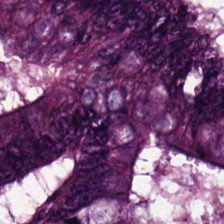Stain: H&E.
Predominant tissue: colorectal adenocarcinoma epithelium.
